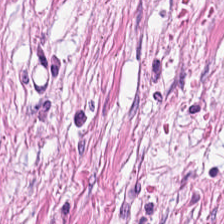H&E — cancer-associated stroma.
